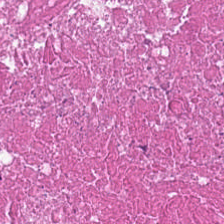Predominant tissue: cellular debris.
